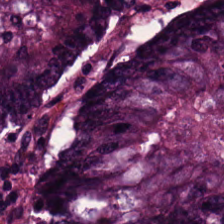Tissue — tumor epithelium.
